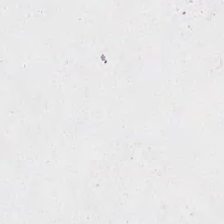H&E stain — No tissue present; background only.
